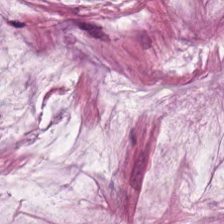The tissue here is extracellular mucin.
